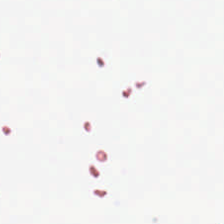Formalin-fixed paraffin-embedded section · hematoxylin-and-eosin stained section. {"content": "background"}
